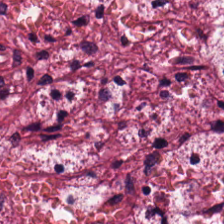H&E. This patch shows desmoplastic stroma.
